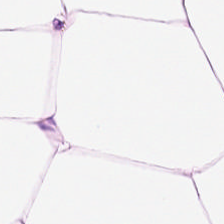H&E stain — Histology — adipose.
